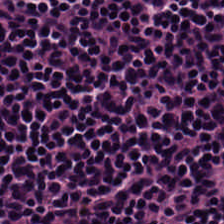20× equivalent magnification; hematoxylin-and-eosin stained section.
This field is lymphocytic infiltrate.
